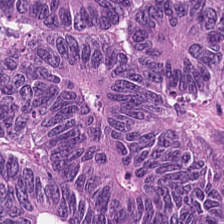{"tissue_type": "tumor epithelium"}
